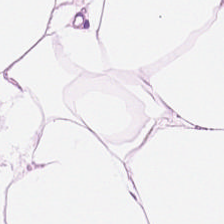20× equivalent magnification · H&E · brightfield microscopy.
Showing adipocytes.
